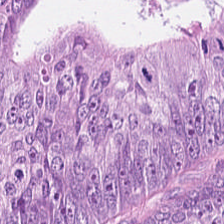Stain: H&E-stained tissue section.
Predominant tissue: tumor epithelium.
